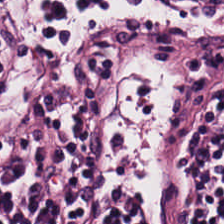Tissue class — lymphoid infiltrate.
